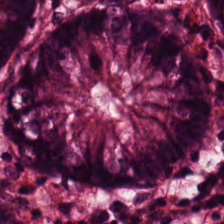Hematoxylin-and-eosin stained section · 224×224 px patch — Predominantly normal colonic mucosa.
